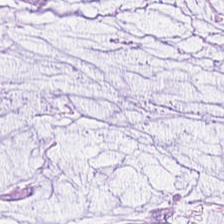H&E — Predominantly extracellular mucin.
